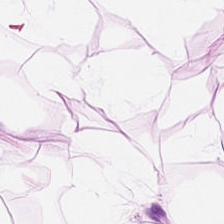H&E. Showing adipose.
